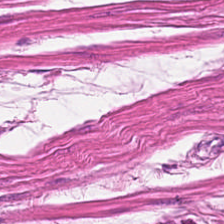Brightfield. Hematoxylin-and-eosin stained section. The predominant tissue is muscularis.
